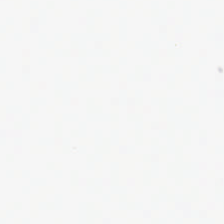H&E stain. Empty background.
